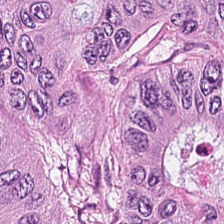H&E.
This patch shows tumor epithelium.
